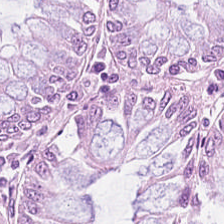H&E-stained tissue section · WSI patch · 224×224 px patch.
Tissue type — normal colon mucosa.
